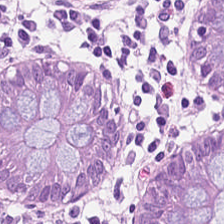H&E stain. Q: What tissue is shown?
A: The field shows benign colonic mucosa.
